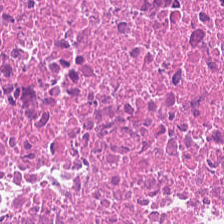Brightfield. H&E stain — Predominant tissue: debris.
